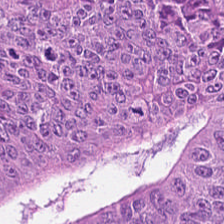Hematoxylin and eosin — Q: What is shown in this field?
A: The field shows tumor epithelium.
